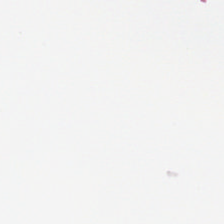Hematoxylin-and-eosin stained section — No tissue present; background only.
